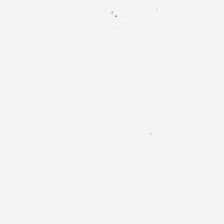224×224 px patch · brightfield · H&E — Content: no tissue.
